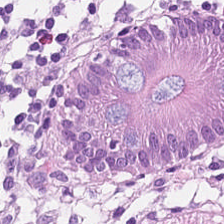Stain: H&E-stained tissue section.
Resolution: 0.5 microns per pixel.
Acquisition: WSI patch.
Predominant tissue: normal colonic mucosa.
